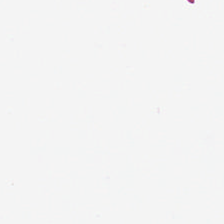Hematoxylin-and-eosin stained section. Classification = background.
